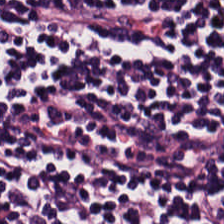Q: What tissue type is shown here?
A: The field shows lymphocyte aggregate.
